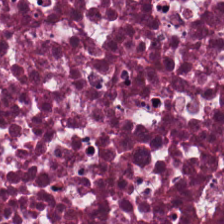Stain: H&E stain.
Resolution: 0.5 µm per pixel.
Tile size: 224×224 px tile.
Tissue class: necrotic debris.
